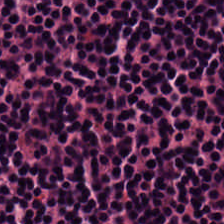FFPE tissue section. H&E stain. 224×224 px tile. Predominantly lymphoid infiltrate.
